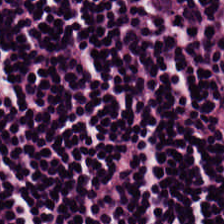H&E-stained tissue section.
Showing lymphocytes.
